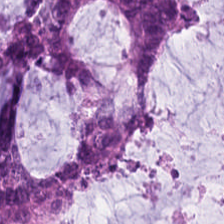{"tissue_type": "mucus"}
